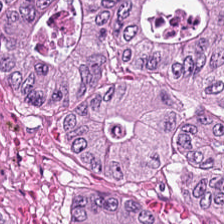Hematoxylin and eosin; 224×224 px tile. Q: What is the predominant tissue type?
A: This is tumor epithelium.
